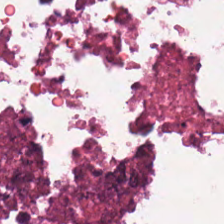H&E. {"tissue_type": "cellular debris"}
